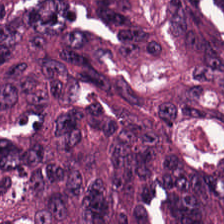H&E. The predominant tissue is colorectal adenocarcinoma.
